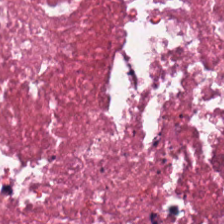Whole-slide-image patch. H&E-stained tissue section — Finding — debris.
